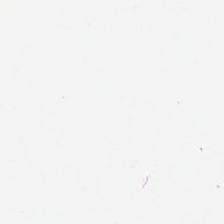Hematoxylin and eosin.
The classification is no tissue.
